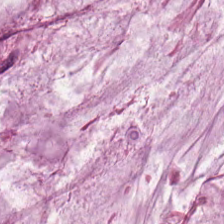Stain: H&E-stained tissue section.
Tissue: extracellular mucin.
